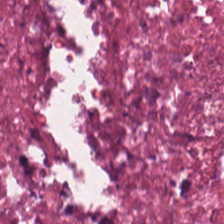Hematoxylin and eosin; whole-slide-image patch — Histology → debris.
